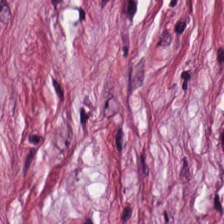H&E stain. 20× equivalent magnification. 224×224 px patch — Q: What type of tissue is this?
A: The field shows tumor-associated stroma.
